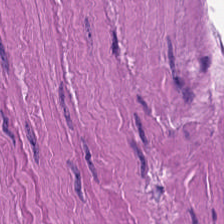H&E stain · FFPE tissue section — Histology — smooth-muscle tissue.
